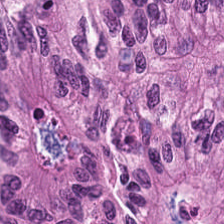FFPE tissue section; H&E.
Histology — adenocarcinoma.
